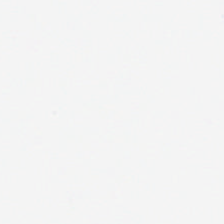FFPE tissue section · H&E stain · WSI patch.
This patch shows background (no tissue).
